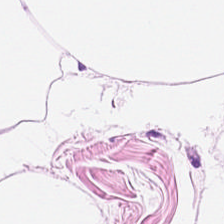{"tissue_type": "adipose"}
